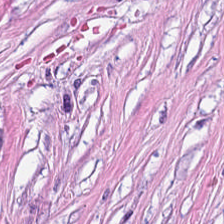20× equivalent magnification · H&E-stained tissue section.
Q: Classify this patch.
A: This is tumor stroma.
